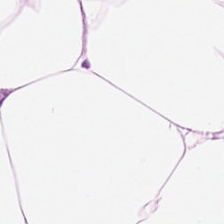Q: What type of tissue is this?
A: It is adipocytes.
